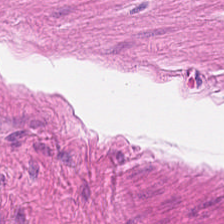0.5 µm/px. H&E.
The tissue here is smooth muscle.
